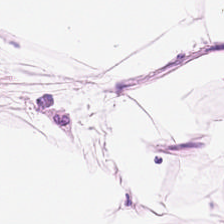Q: What is the predominant tissue type?
A: Adipocytes.
